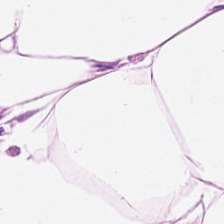224×224 px patch. H&E stain. 0.5 microns per pixel. Tissue class: adipose.
